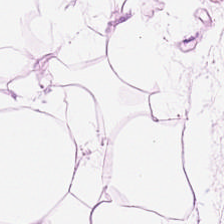H&E stain — Classification = adipose tissue.
